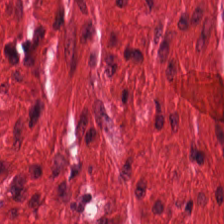The predominant tissue is muscularis.
